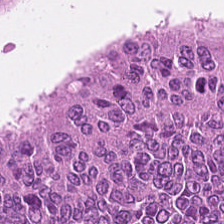Stain: hematoxylin and eosin.
Predominant tissue: tumor epithelium.
